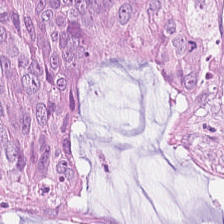Q: Identify the tissue.
A: Adenocarcinoma.
